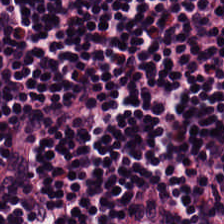H&E stain. Formalin-fixed paraffin-embedded section. Tissue type: lymphocyte aggregate.
